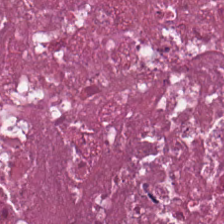H&E-stained tissue section. The tissue type is debris.
